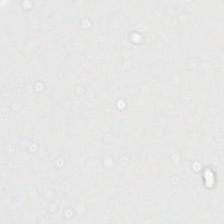H&E-stained tissue section.
Background (no tissue).
